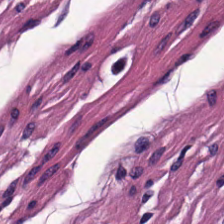Hematoxylin and eosin. The classification is smooth-muscle tissue.
